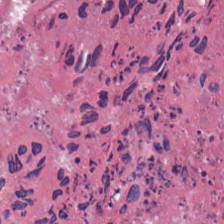Hematoxylin and eosin. Tissue class: necrotic debris.
